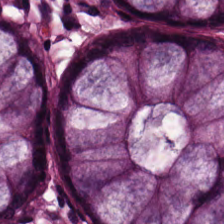Stain: hematoxylin and eosin.
Acquisition: brightfield.
Tissue type: normal colonic mucosa.
